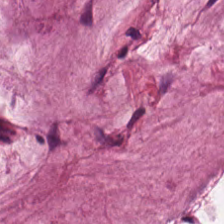Hematoxylin-and-eosin stained section.
Tissue class = mucin.
